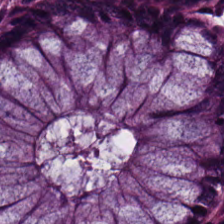H&E stain.
Q: What tissue is shown?
A: This is normal colonic mucosa.
